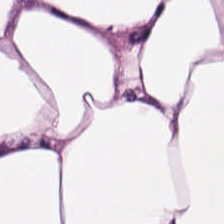WSI patch; hematoxylin-and-eosin stained section.
Tissue = adipose.
